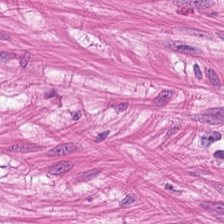H&E.
Q: What tissue is shown?
A: The field shows smooth-muscle tissue.
